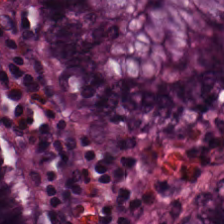Q: What is shown here?
A: This is normal colonic mucosa.
